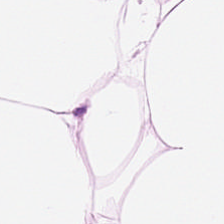Hematoxylin and eosin — Histology — adipose.
